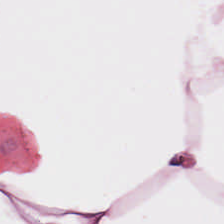224×224 pixel tile; FFPE tissue section; hematoxylin and eosin — Q: What is shown in this field?
A: This is adipose tissue.
